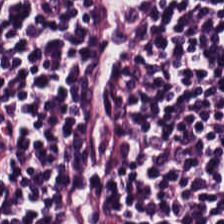Hematoxylin-and-eosin stained section.
This patch shows lymphoid infiltrate.
